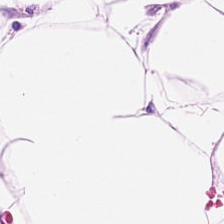H&E-stained tissue section. FFPE tissue section — Tissue — adipose.
